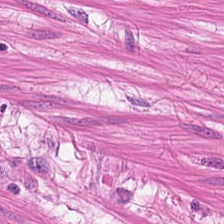Tissue — smooth muscle.
